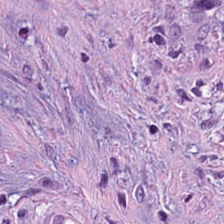H&E stain — Tissue type — desmoplastic stroma.
